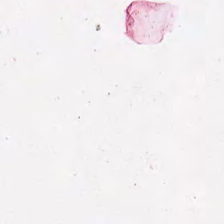H&E. 0.5 microns per pixel. The tissue class is debris.
